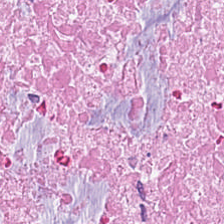The tissue class is debris.
